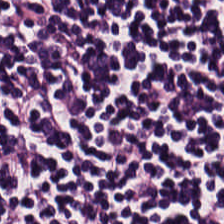H&E-stained tissue section · brightfield.
Tissue class = lymphoid infiltrate.
